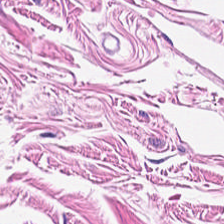0.5 µm/px; 224×224 px patch; H&E-stained tissue section. {"tissue_type": "smooth-muscle tissue"}
